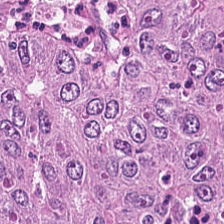The predominant tissue is adenocarcinoma.
